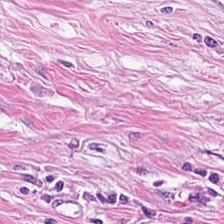H&E stain — The tissue here is tumor stroma.
